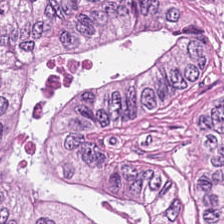Classification: colorectal adenocarcinoma.
